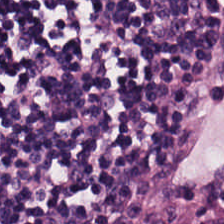Formalin-fixed paraffin-embedded section; hematoxylin-and-eosin stained section. Tissue = lymphocytes.
